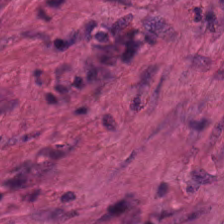H&E.
Tissue = smooth muscle.
